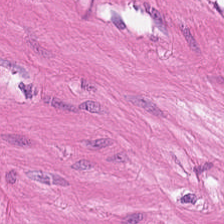Tissue class: smooth-muscle tissue.
